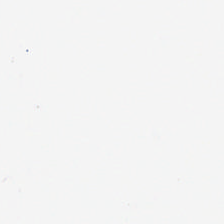Brightfield · FFPE tissue section · H&E. This field is background (no tissue).
